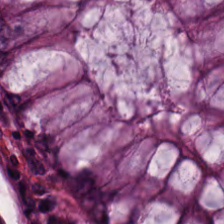Stain: hematoxylin and eosin.
Tissue type: normal colonic mucosa.
